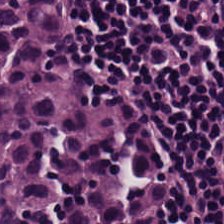224×224 pixel tile; hematoxylin and eosin — Histology → lymphocyte aggregate.
